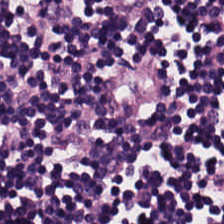0.5 µm per pixel · H&E — Q: What tissue type is shown here?
A: The field shows lymphocyte aggregate.
